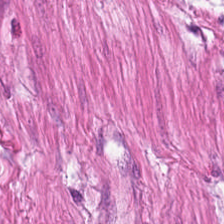H&E-stained tissue section — Tissue class = smooth muscle.
